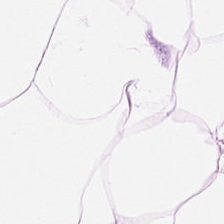H&E. Classification — fat tissue.
